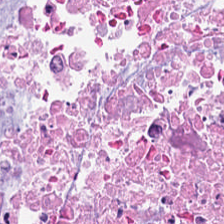H&E stain; 224×224 px patch — {"tissue_type": "necrotic debris"}
